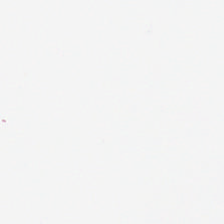H&E.
This patch shows no tissue.
